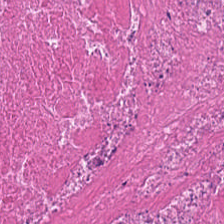Hematoxylin-and-eosin stained section. Histology → cellular debris.
